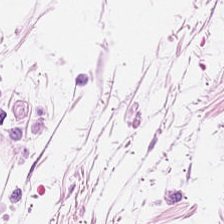FFPE tissue section · hematoxylin-and-eosin stained section · 224×224 px tile.
Showing adipose tissue.
